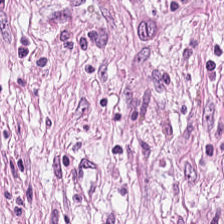H&E-stained tissue section — Showing tumor-associated stroma.
